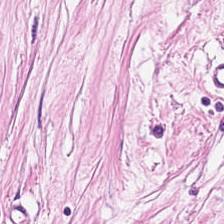Hematoxylin and eosin.
The tissue is desmoplastic stroma.
